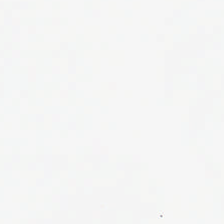FFPE · H&E · whole-slide-image patch.
Content = no tissue.
